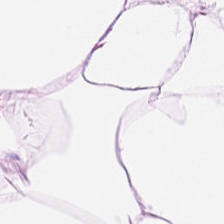Q: What is the predominant tissue type?
A: This is adipose tissue.
